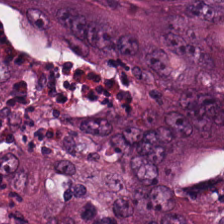H&E-stained tissue section. 20× equivalent magnification — Adenocarcinoma.
